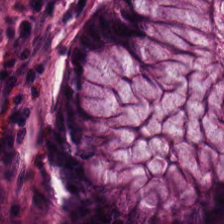H&E. {"tissue_type": "normal colonic mucosa"}
